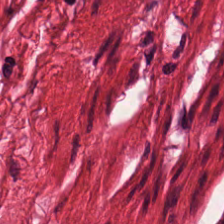Hematoxylin-and-eosin stained section. Finding — muscularis.
